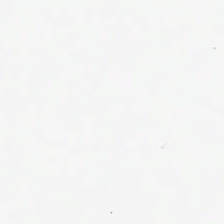Stain: H&E-stained tissue section.
Content: background (no tissue).
